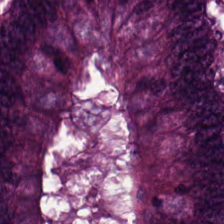Whole-slide-image patch. H&E-stained tissue section.
Predominantly colorectal adenocarcinoma epithelium.
